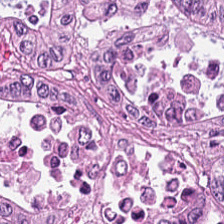H&E — Q: What is shown in this field?
A: The field shows colorectal adenocarcinoma epithelium.
